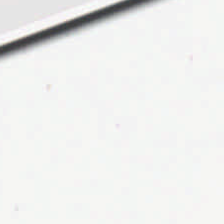{"content": "no tissue"}
